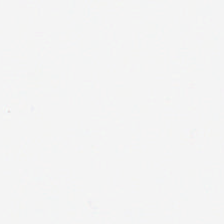This field is background (no tissue).
